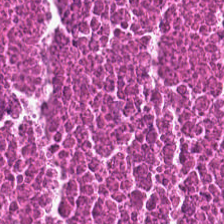Whole-slide-image patch · H&E-stained tissue section · FFPE — Predominant tissue — debris.
